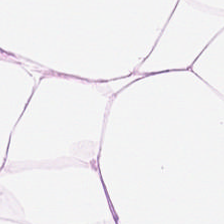H&E stain.
Adipose tissue.
